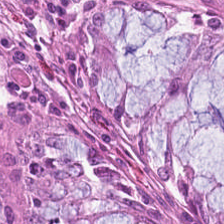Hematoxylin-and-eosin stained section.
The predominant tissue is normal colonic mucosa.
